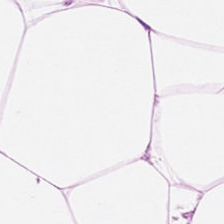Hematoxylin and eosin.
Tissue: adipocytes.
